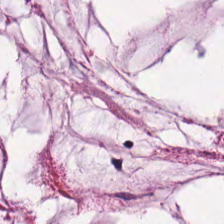H&E stain.
Q: What type of tissue is this?
A: This is mucin.
